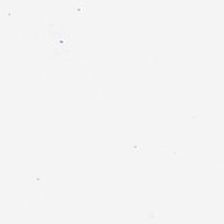0.5 µm/px; hematoxylin-and-eosin stained section; whole-slide-image patch — This patch shows empty background.
